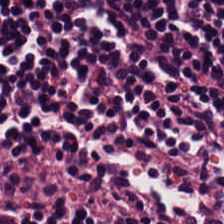H&E stain — Q: What does this patch show?
A: Lymphocytic infiltrate.
